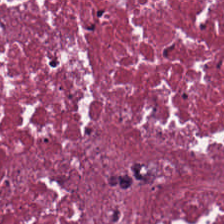Hematoxylin and eosin · WSI patch · FFPE tissue section. The tissue is necrotic debris.
